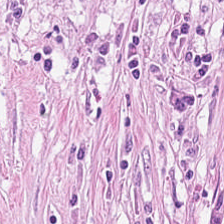H&E · FFPE tissue section · 224×224 pixel tile.
This patch shows cancer-associated stroma.
